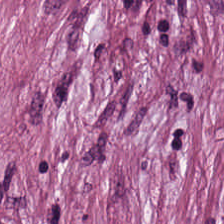H&E-stained tissue section. This patch shows cancer-associated stroma.
